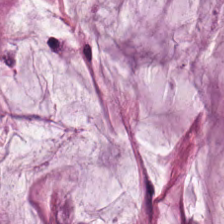Showing extracellular mucin.
